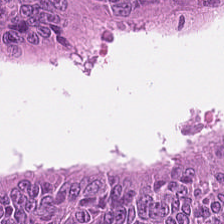Stain: H&E-stained tissue section.
Tissue class: colorectal adenocarcinoma.
